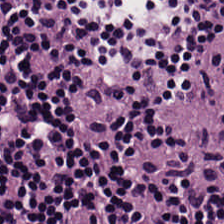Q: What is shown in this field?
A: This is lymphocyte aggregate.
